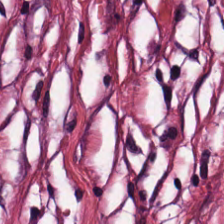Hematoxylin-and-eosin stained section. The tissue class is desmoplastic stroma.
